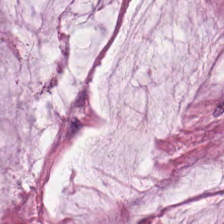H&E-stained tissue section. Tissue — mucin.
